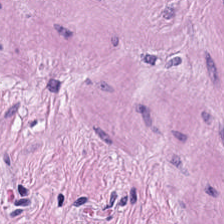H&E-stained tissue section — The predominant tissue is muscularis.
